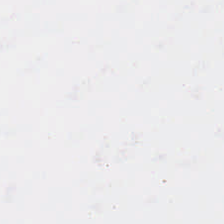The field content is background.
